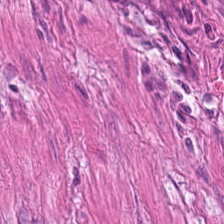Stain: hematoxylin and eosin.
Resolution: 0.5 µm per pixel.
Acquisition: brightfield.
Classification: smooth muscle.
